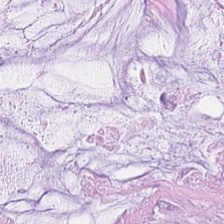H&E stain.
The predominant tissue is mucin.
